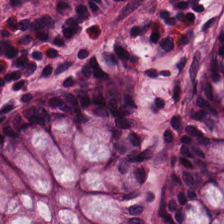Predominantly benign colonic mucosa.
